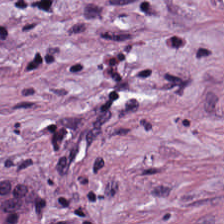Hematoxylin and eosin.
Tumor-associated stroma.
